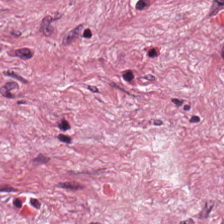Hematoxylin-and-eosin stained section — Q: What tissue is shown?
A: The field shows tumor stroma.
